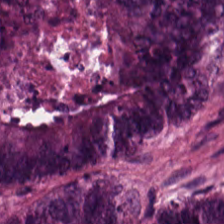Brightfield microscopy; H&E stain. Q: What tissue is shown?
A: It is malignant epithelium.
